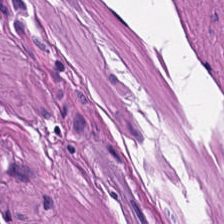H&E stain. Predominantly smooth-muscle tissue.
